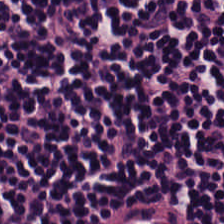This field is lymphocytic infiltrate.
